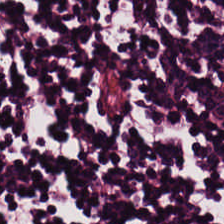Hematoxylin and eosin. The predominant tissue is lymphoid infiltrate.
